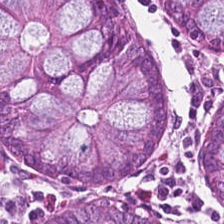Stain: H&E-stained tissue section.
Tissue type: non-neoplastic colon mucosa.
